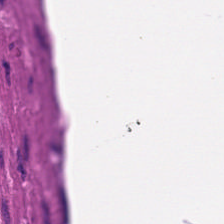Whole-slide-image patch; H&E.
Predominant tissue = muscularis.
